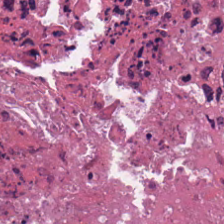H&E stain; 224×224 px patch; 0.5 µm per pixel.
Showing necrotic debris.
